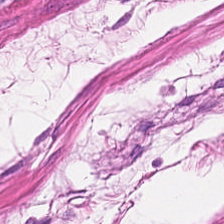H&E. 224×224 px tile. This field is smooth muscle.
